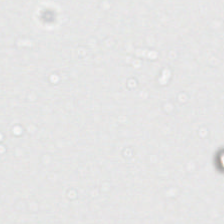Brightfield microscopy · H&E stain. Q: What is shown in this field?
A: The field shows background.
